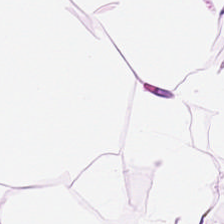Hematoxylin and eosin; 0.5 µm per pixel.
Showing adipose tissue.
